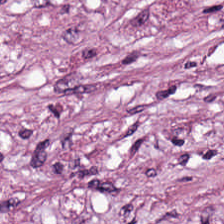H&E-stained tissue section. 0.5 µm/px. 224×224 px tile. Showing tumor-associated stroma.
